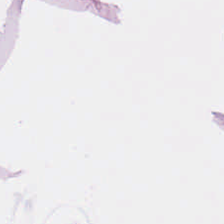Finding → fat tissue.
